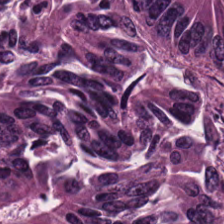H&E.
Predominant tissue: malignant epithelium.
